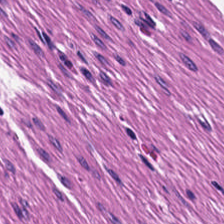Stain: hematoxylin-and-eosin stained section.
Resolution: 0.5 microns per pixel.
Tissue type: smooth-muscle tissue.
